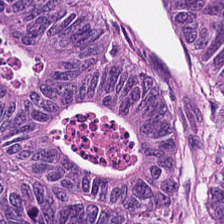WSI patch · hematoxylin-and-eosin stained section.
Q: What type of tissue is this?
A: It is adenocarcinoma.
